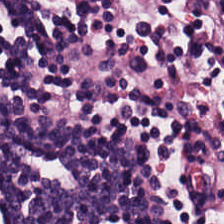224×224 px tile. Hematoxylin-and-eosin stained section. Impression → lymphocytic infiltrate.
